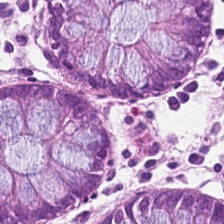Classification = non-neoplastic colon mucosa.
